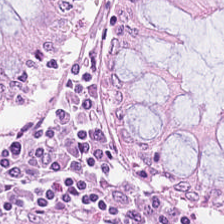H&E-stained tissue section · WSI patch · 0.5 µm per pixel — Q: What tissue is shown?
A: Non-neoplastic colon mucosa.
